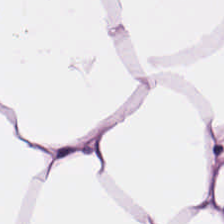FFPE; H&E stain.
Q: What does this patch show?
A: Adipose.
